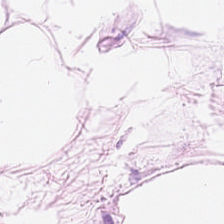Formalin-fixed paraffin-embedded section. H&E. 0.5 microns per pixel — Showing adipose tissue.
